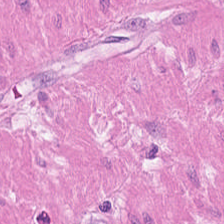Impression → muscularis.
